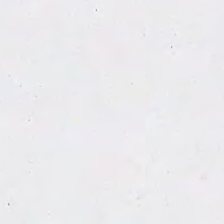The field content is background (no tissue).
